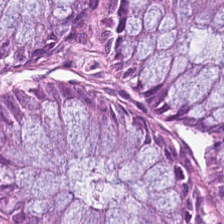H&E-stained tissue section · 0.5 microns per pixel · 224×224 px tile.
Showing normal colon mucosa.
